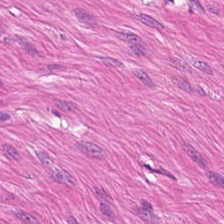FFPE tissue section; brightfield microscopy; H&E stain. Q: What tissue type is shown here?
A: This is muscularis.
